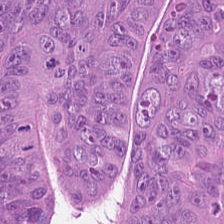Stain: H&E.
Tile size: 224×224 px patch.
Tissue type: tumor epithelium.
